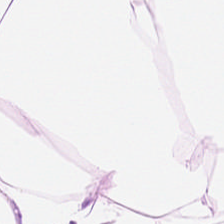Hematoxylin-and-eosin stained section; 0.5 microns per pixel — Tissue: fat tissue.
